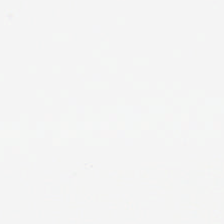H&E-stained tissue section; formalin-fixed paraffin-embedded section; 0.5 microns per pixel — This field is background (no tissue).
